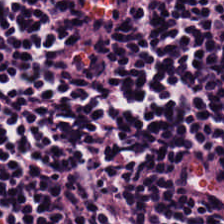H&E stain.
Tissue class: lymphocytic infiltrate.
